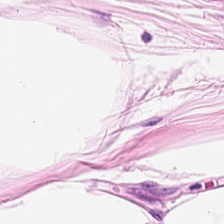H&E — adipose tissue.
